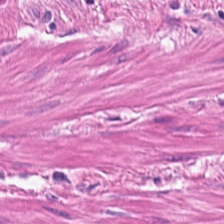FFPE. Hematoxylin-and-eosin stained section. 224×224 px tile. Predominantly smooth-muscle tissue.
